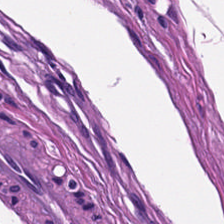Brightfield microscopy. H&E. Tissue class — smooth-muscle tissue.
